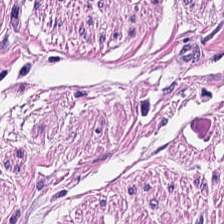H&E-stained tissue section. Finding — smooth-muscle tissue.
